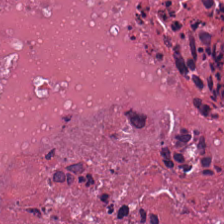Q: What type of tissue is this?
A: Cellular debris.
